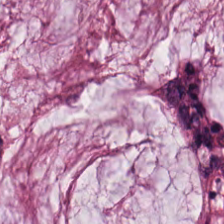0.5 microns per pixel; H&E stain; whole-slide-image patch.
Tissue class: mucin.
